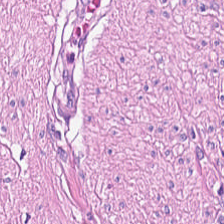H&E-stained tissue section · formalin-fixed paraffin-embedded section. This patch shows muscularis.
